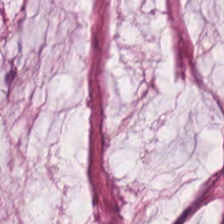Q: What tissue is shown?
A: This is mucus.
